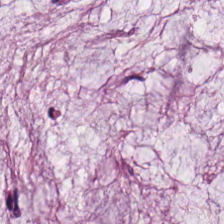Hematoxylin and eosin. 224×224 px tile. Whole-slide-image patch.
Q: What is the predominant tissue type?
A: Extracellular mucin.
